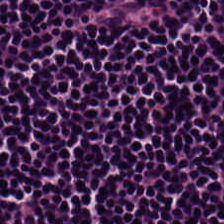Stain: hematoxylin-and-eosin stained section.
Tissue class: lymphoid infiltrate.
